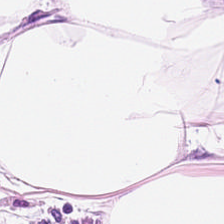224×224 px patch. H&E. FFPE tissue section.
The classification is fat tissue.
